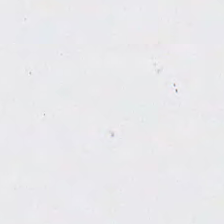H&E.
No tissue present; background only.
